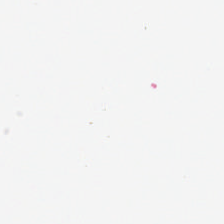224×224 px tile. Brightfield. H&E stain.
Classification: no tissue.
